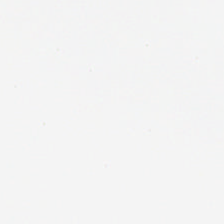Brightfield microscopy · H&E-stained tissue section. Classification: background (no tissue).
